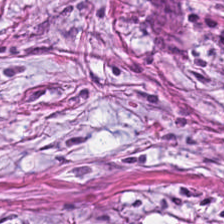H&E-stained tissue section.
Desmoplastic stroma.
